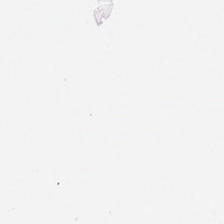0.5 µm per pixel · H&E stain · brightfield microscopy. Field content = background.
